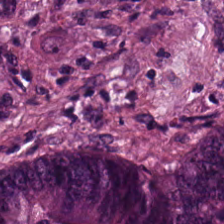H&E-stained tissue section — Tissue type = malignant epithelium.
